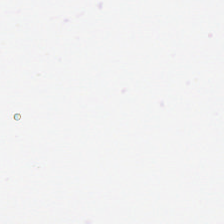{"content": "background (no tissue)"}
